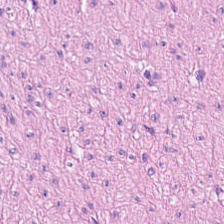0.5 µm/px; hematoxylin and eosin; whole-slide-image patch.
The tissue here is smooth muscle.
